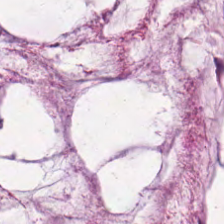This field is extracellular mucin.
